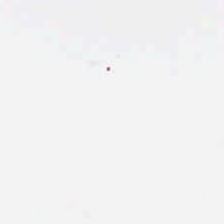H&E stain · formalin-fixed paraffin-embedded section.
The classification is empty background.
